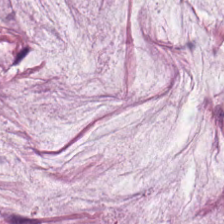Hematoxylin and eosin.
The tissue is extracellular mucin.
